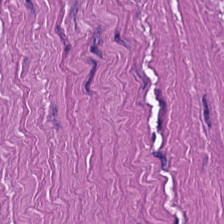Finding — smooth-muscle tissue.
